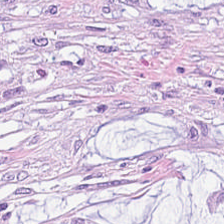Stain: H&E-stained tissue section.
Tile size: 224×224 px patch.
Classification: mucus.
